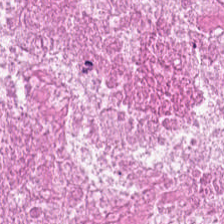Hematoxylin-and-eosin stained section · 0.5 µm/px — Q: Classify this patch.
A: This is debris.
